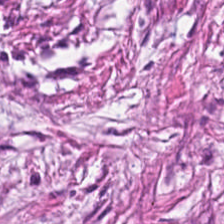Hematoxylin and eosin · 0.5 µm/px — Tissue: desmoplastic stroma.
